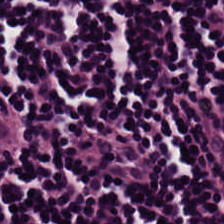H&E.
Impression — lymphocytes.
